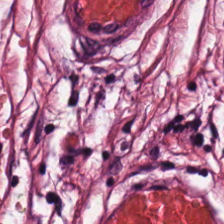Q: Identify the tissue.
A: It is tumor-associated stroma.
